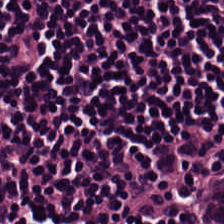Hematoxylin-and-eosin stained section. Q: What type of tissue is this?
A: Lymphocytic infiltrate.
